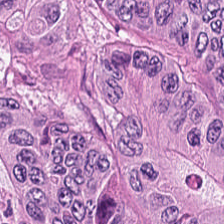Hematoxylin and eosin; 0.5 microns per pixel. Q: What is shown in this field?
A: It is malignant epithelium.
